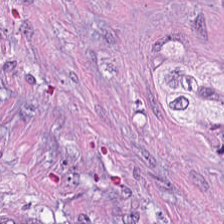H&E stain — Predominant tissue: tumor stroma.
